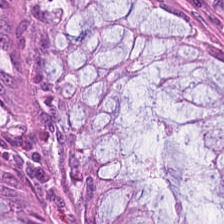Hematoxylin and eosin — This patch shows normal colonic mucosa.
